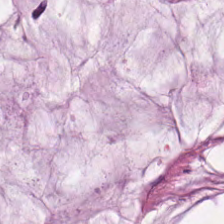FFPE tissue section; H&E-stained tissue section.
Tissue class = mucus.
